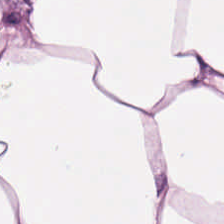H&E. This field is adipocytes.
